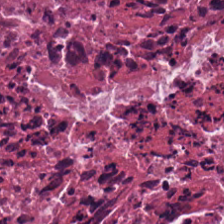H&E stain.
Cellular debris.
